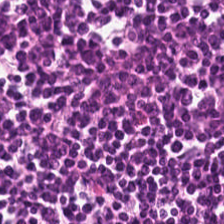Brightfield; 224×224 pixel tile; H&E. Predominant tissue: lymphocytic infiltrate.
